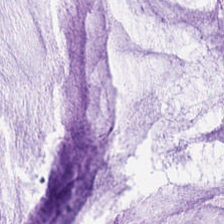0.5 microns per pixel; H&E. The predominant tissue is mucus.
